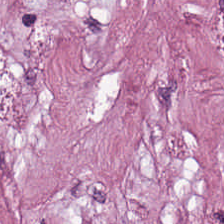Q: What type of tissue is this?
A: Tumor stroma.
